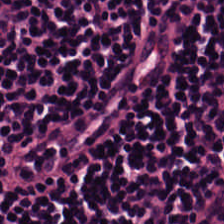Hematoxylin-and-eosin stained section. FFPE.
{"tissue_type": "lymphocytes"}
